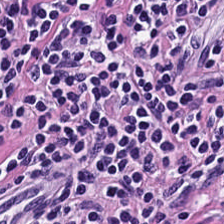The predominant tissue is lymphocytes.
